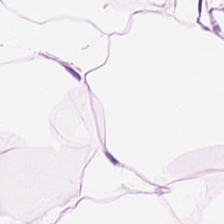H&E-stained tissue section · 224×224 px patch. Classification = adipocytes.
